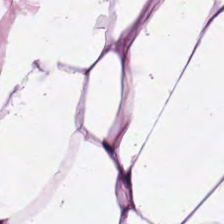0.5 µm per pixel; formalin-fixed paraffin-embedded section; hematoxylin and eosin — {"tissue_type": "adipocytes"}
